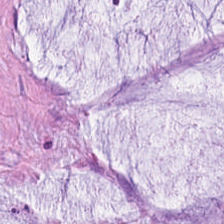Stain: hematoxylin and eosin.
Classification: mucus.
